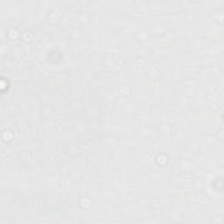Content — background (no tissue).
